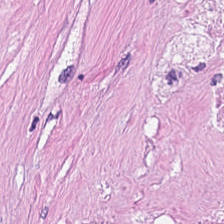Stain: H&E stain.
Classification: cellular debris.
